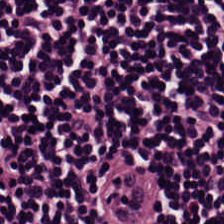Stain: H&E stain.
Tissue class: lymphoid infiltrate.
